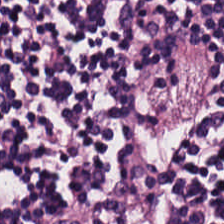H&E-stained section; the field shows lymphocyte aggregate.
